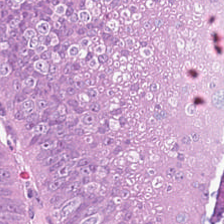H&E stain. This patch shows tumor epithelium.
